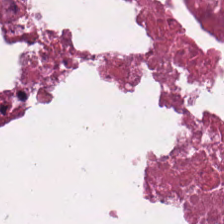H&E — Q: What is shown in this field?
A: It is debris.
